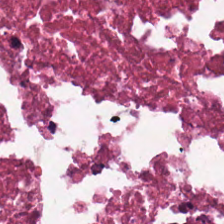0.5 µm/px · H&E stain.
The tissue type is necrotic debris.
